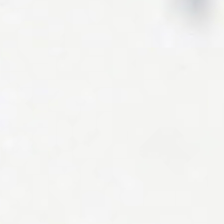Field content: no tissue.
